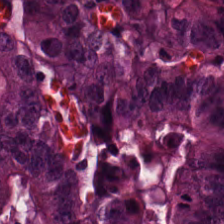Stain: H&E.
Tissue type: adenocarcinoma.
